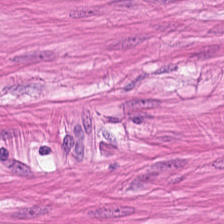H&E — smooth-muscle tissue.
